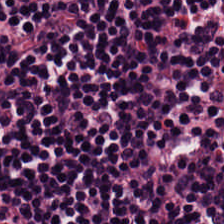Hematoxylin and eosin.
Predominantly lymphocyte aggregate.
